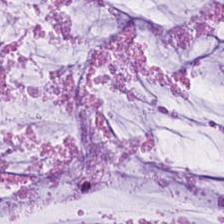224×224 pixel tile; H&E — This field is extracellular mucin.
